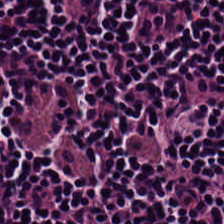Hematoxylin-and-eosin stained section. Q: What is the predominant tissue type?
A: Lymphocytic infiltrate.
